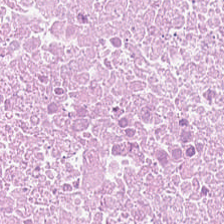H&E stain. This field is cellular debris.
